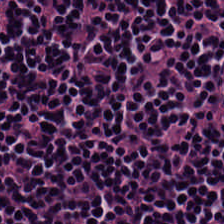Q: What does this patch show?
A: It is lymphocytes.
